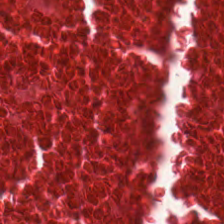Hematoxylin-and-eosin stained section; brightfield microscopy; 224×224 px tile.
Necrotic debris.
